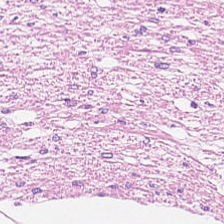Smooth muscle.
